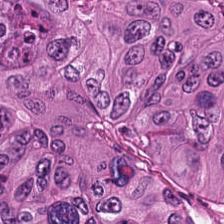0.5 microns per pixel. H&E-stained tissue section. Tissue = tumor epithelium.
